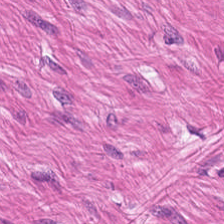0.5 microns per pixel · hematoxylin and eosin — Predominantly smooth muscle.
